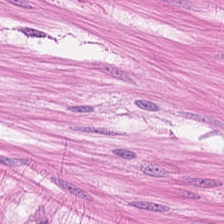H&E-stained tissue section · FFPE tissue section. Impression → smooth-muscle tissue.
